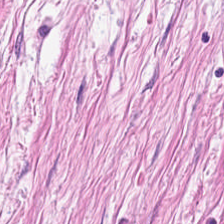Hematoxylin and eosin. Tissue class — tumor stroma.
